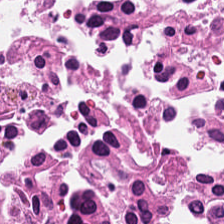H&E stain; 20× equivalent magnification; 224×224 px patch — Tissue class: necrotic debris.
